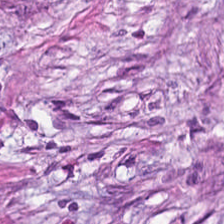H&E-stained tissue section.
Tumor-associated stroma.
